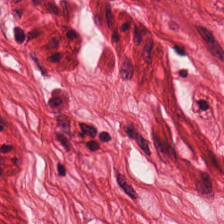The tissue here is muscularis.
